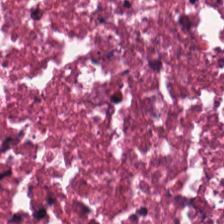Hematoxylin and eosin — Q: What is the predominant tissue type?
A: It is debris.
